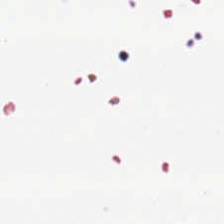H&E-stained tissue section. Impression → background (no tissue).
